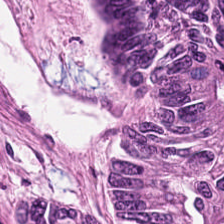Stain: H&E-stained tissue section.
Classification: tumor epithelium.
